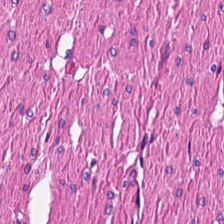Hematoxylin-and-eosin stained section — Q: What does this patch show?
A: This is smooth muscle.
